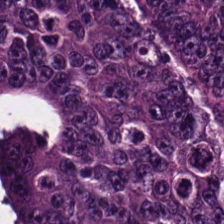224×224 px tile · H&E stain · 0.5 µm/px — Histology → malignant epithelium.
